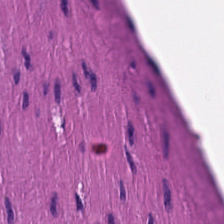WSI patch. Hematoxylin and eosin. 0.5 µm per pixel.
This patch shows muscularis.
